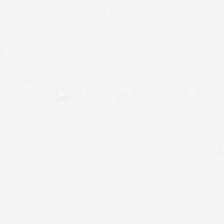Stain: H&E stain.
Classification: background.
